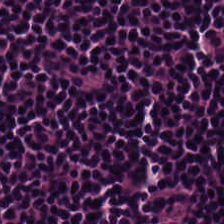Hematoxylin and eosin. Classification = lymphoid infiltrate.
